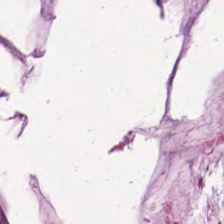H&E-stained tissue section. Q: Identify the tissue.
A: It is mucus.
